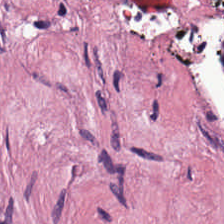Hematoxylin-and-eosin stained section · 20× equivalent magnification — The tissue here is tumor-associated stroma.
